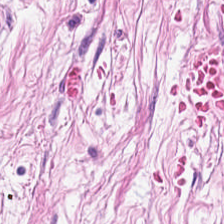Q: Classify this patch.
A: The field shows cancer-associated stroma.
